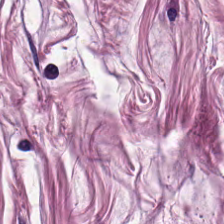Formalin-fixed paraffin-embedded section · whole-slide-image patch · H&E stain — Tissue type: smooth muscle.
